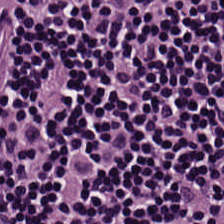Stain: hematoxylin and eosin.
Predominant tissue: lymphocytic infiltrate.
